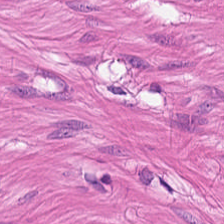Formalin-fixed paraffin-embedded section; H&E stain. The predominant tissue is muscularis.
